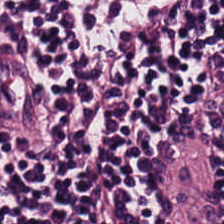H&E. Finding → lymphocyte aggregate.
